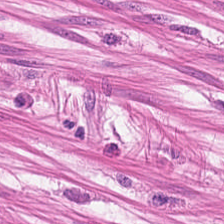H&E — The tissue here is muscularis.
